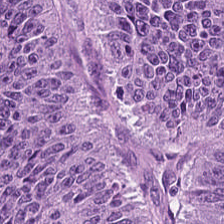Hematoxylin-and-eosin stained section.
The predominant tissue is colorectal adenocarcinoma epithelium.
